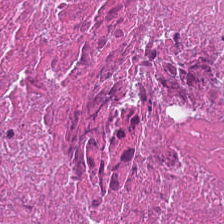224×224 pixel tile · H&E — {"tissue_type": "cellular debris"}
